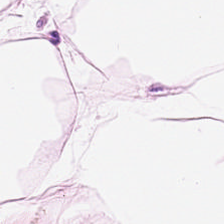Tissue type — fat tissue.
